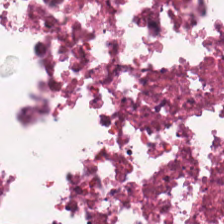Hematoxylin and eosin — Q: Identify the tissue.
A: It is necrotic debris.
